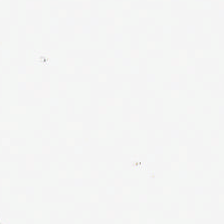H&E. Brightfield microscopy.
Finding — no tissue.
